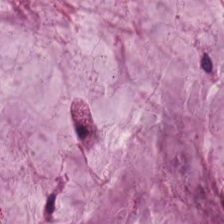H&E.
Tissue type: extracellular mucin.
